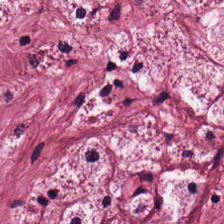H&E-stained tissue section — Tissue: tumor-associated stroma.
